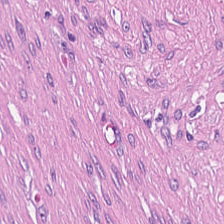The tissue class is tumor stroma.
